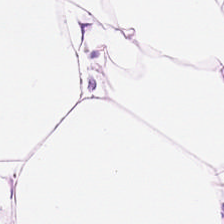Hematoxylin-and-eosin stained section — Finding — fat tissue.
